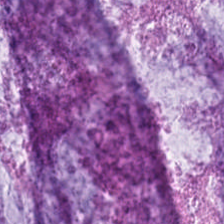H&E-stained tissue section. Histology → mucin.
